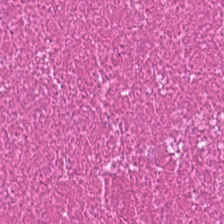H&E-stained tissue section.
Tissue type: debris.
